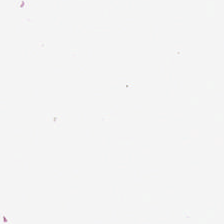Q: What is shown here?
A: The field shows background (no tissue).
